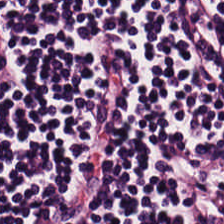Hematoxylin-and-eosin stained section.
Q: What is shown in this field?
A: This is lymphocyte aggregate.
